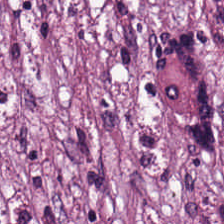Tissue class — desmoplastic stroma.
